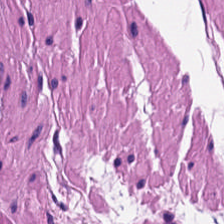This patch shows smooth muscle.
